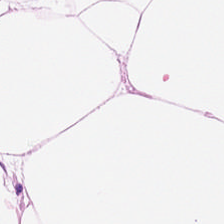Hematoxylin-and-eosin section: fat tissue.
